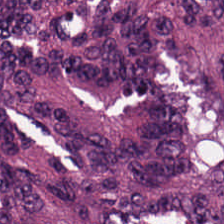H&E-stained section; the field shows colorectal adenocarcinoma epithelium.
